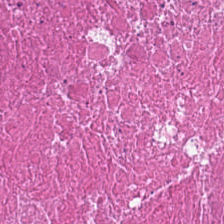FFPE tissue section; H&E stain.
The tissue class is debris.
